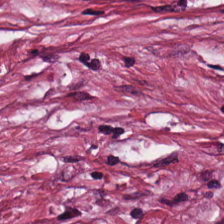Hematoxylin-and-eosin stained section.
Q: What is the predominant tissue type?
A: It is tumor stroma.
